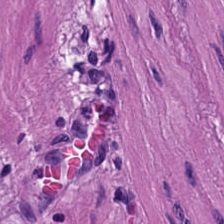H&E stain.
This field is smooth muscle.
